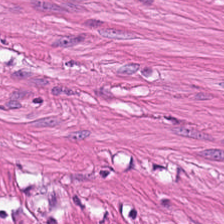Stain: hematoxylin and eosin.
Preparation: formalin-fixed paraffin-embedded section.
Classification: muscularis.
